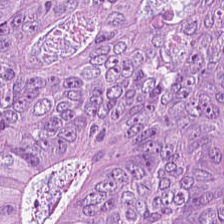H&E.
Predominant tissue = colorectal adenocarcinoma.
